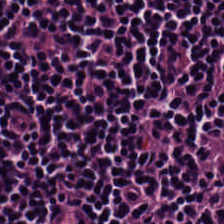Hematoxylin-and-eosin stained section; WSI patch; 20× equivalent magnification. The predominant tissue is lymphocytes.
